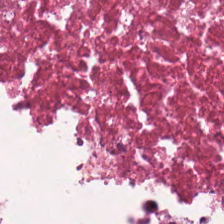H&E stain.
Predominantly debris.
